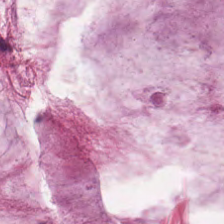H&E stain. Finding → extracellular mucin.
